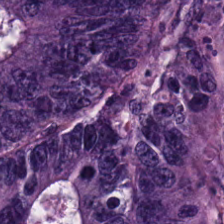Finding — tumor epithelium.
